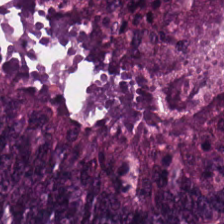Predominantly colorectal adenocarcinoma epithelium.
